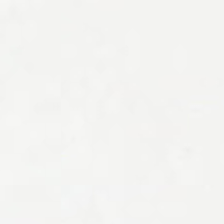H&E stain.
The content is background (no tissue).
